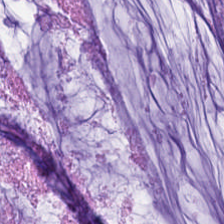H&E stain. Predominantly mucin.
